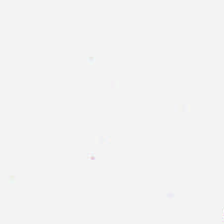0.5 microns per pixel · 224×224 px tile · hematoxylin-and-eosin stained section.
Finding — background (no tissue).
